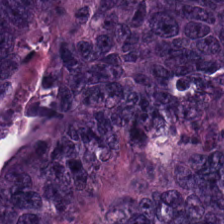Hematoxylin and eosin. Q: Identify the tissue.
A: It is malignant epithelium.
